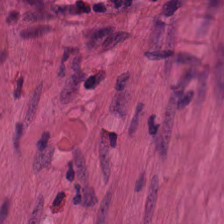Predominantly muscularis.
